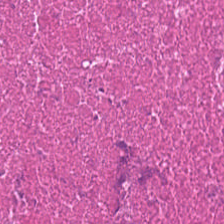H&E-stained tissue section · 0.5 microns per pixel.
Impression → debris.
